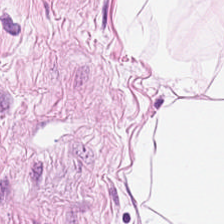0.5 µm per pixel. H&E-stained tissue section.
{"tissue_type": "adipose"}
